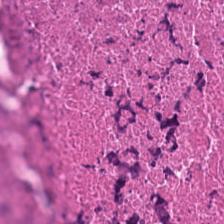Impression → cellular debris.
